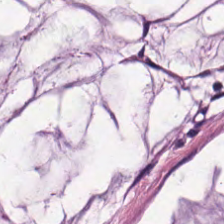Q: Classify this patch.
A: It is mucin.
